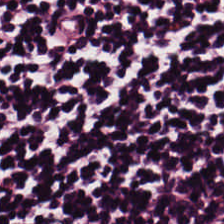WSI patch; hematoxylin-and-eosin stained section; FFPE tissue section.
Lymphocyte aggregate.
